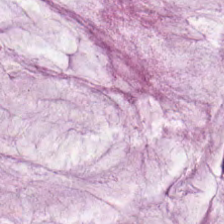224×224 px tile · FFPE · H&E stain. This patch shows mucin.
